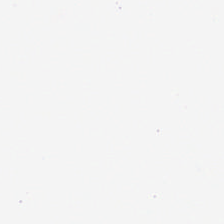H&E-stained tissue section.
No tissue present; background only.
